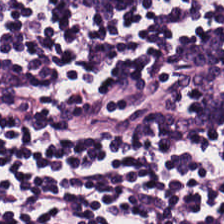FFPE tissue section · 224×224 px tile · H&E — Q: What tissue is shown?
A: The field shows lymphoid infiltrate.
